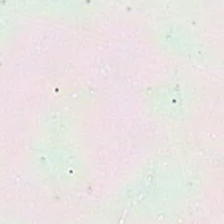Formalin-fixed paraffin-embedded section; H&E stain — Finding → no tissue.
